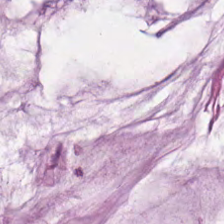WSI patch; H&E; 20× equivalent magnification — Predominantly extracellular mucin.
